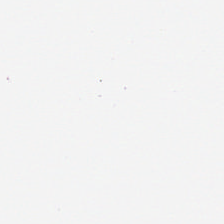Hematoxylin and eosin. WSI patch. This patch shows background (no tissue).
